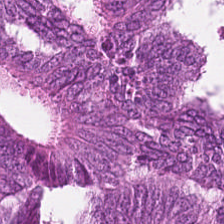H&E stain.
Classification: tumor epithelium.
